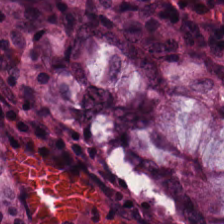Whole-slide-image patch. H&E-stained tissue section. Q: What does this patch show?
A: This is normal colonic mucosa.
